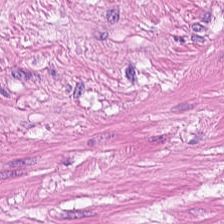H&E. This patch shows smooth muscle.
